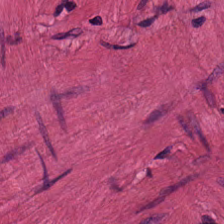Hematoxylin and eosin. This field is smooth muscle.
